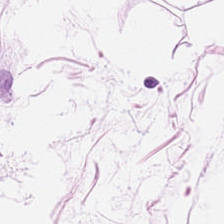H&E; brightfield microscopy. The classification is adipose tissue.
